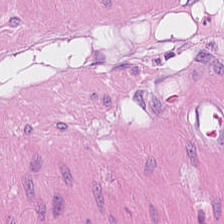H&E-stained tissue section; FFPE. Q: What is the predominant tissue type?
A: Muscularis.
